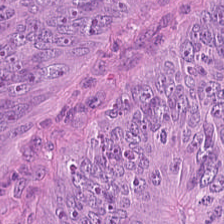H&E stain · 224×224 px tile — Showing adenocarcinoma.
